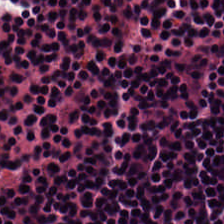Hematoxylin-and-eosin stained section; FFPE tissue section. This patch shows lymphoid infiltrate.
